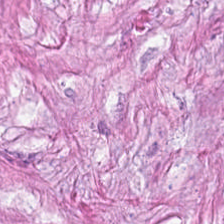H&E-stained tissue section — This patch shows cancer-associated stroma.
